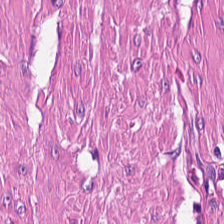H&E; brightfield.
Predominantly smooth muscle.
